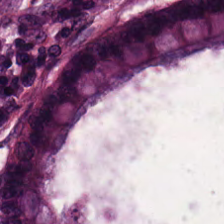H&E stain — {"tissue_type": "non-neoplastic colon mucosa"}
